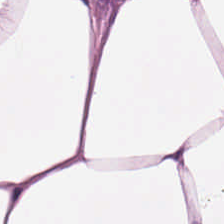H&E-stained section; the field shows adipose tissue.
